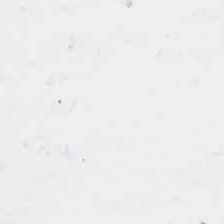Hematoxylin and eosin.
{"content": "empty background"}
